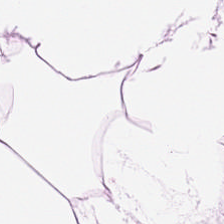H&E-stained tissue section. FFPE. The predominant tissue is adipose.
